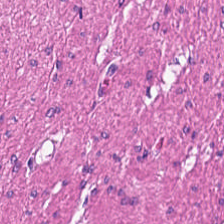Brightfield. H&E — Tissue type: smooth-muscle tissue.
